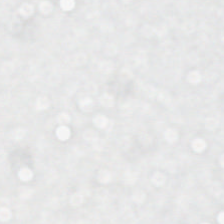H&E-stained tissue section. Whole-slide-image patch — This field is background (no tissue).
